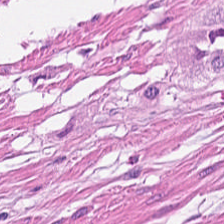H&E-stained tissue section. Brightfield microscopy.
Tissue: smooth muscle.
